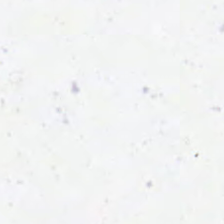H&E stain · whole-slide-image patch · 0.5 microns per pixel.
This patch shows background (no tissue).
